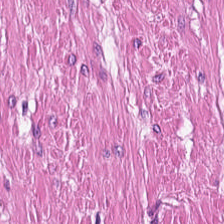Hematoxylin-and-eosin stained section — Q: What is shown in this field?
A: The field shows smooth-muscle tissue.
